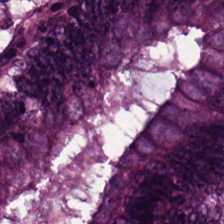Whole-slide-image patch; hematoxylin-and-eosin stained section.
Tissue type: tumor epithelium.
